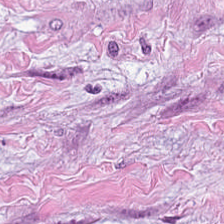224×224 px tile. Hematoxylin and eosin. Q: What is shown in this field?
A: The field shows tumor stroma.
